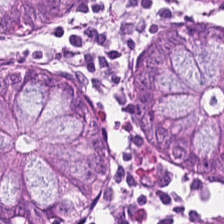Stain: H&E-stained tissue section.
Preparation: FFPE.
Tile size: 224×224 pixel tile.
Tissue class: non-neoplastic colon mucosa.
